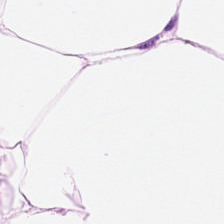Stain: hematoxylin and eosin.
Tissue type: adipocytes.
